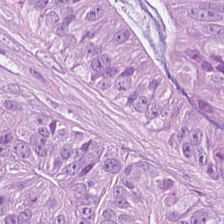H&E-stained tissue section · WSI patch — Tumor epithelium.
